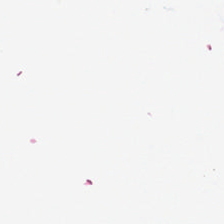Stain: H&E-stained tissue section.
Field content: no tissue.
